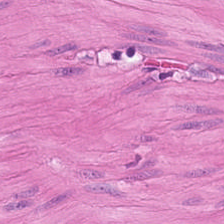H&E-stained tissue section · FFPE tissue section.
Showing smooth muscle.
